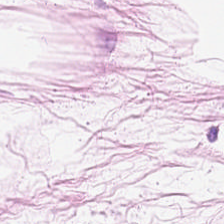Stain: hematoxylin-and-eosin stained section.
Tissue: adipose tissue.
